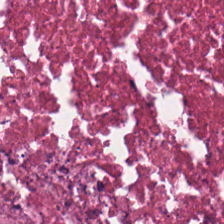Stain: H&E.
Acquisition: whole-slide-image patch.
Classification: necrotic debris.
